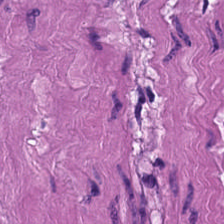WSI patch; H&E-stained tissue section — This patch shows smooth-muscle tissue.
